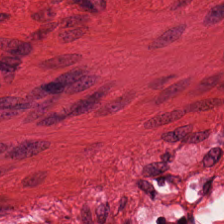H&E-stained tissue section — Tissue: smooth-muscle tissue.
